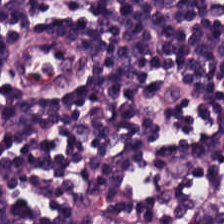224×224 px tile. H&E-stained tissue section. {"tissue_type": "lymphoid infiltrate"}
